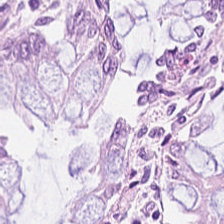Brightfield microscopy · H&E-stained tissue section · FFPE tissue section. Showing normal colon mucosa.
